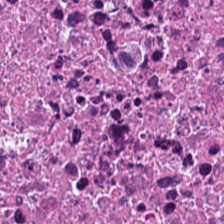{"tissue_type": "debris"}
